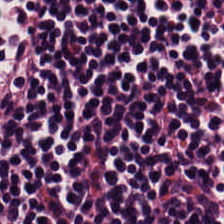224×224 px tile; H&E stain. Classification — lymphocytic infiltrate.
